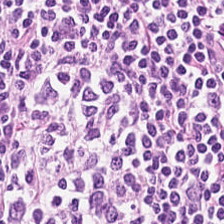Showing lymphocyte aggregate.
